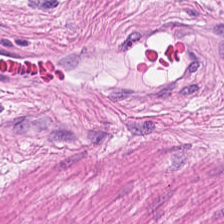The classification is muscularis.
